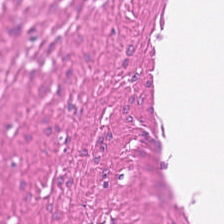224×224 pixel tile. Hematoxylin and eosin.
Smooth-muscle tissue.
